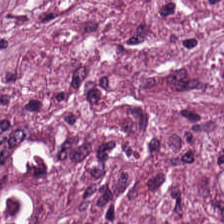H&E-stained tissue section.
This patch shows cancer-associated stroma.
